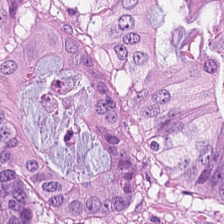Predominantly adenocarcinoma.
